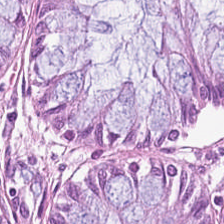Hematoxylin-and-eosin stained section; 0.5 µm per pixel.
Q: What does this patch show?
A: This is normal colon mucosa.
